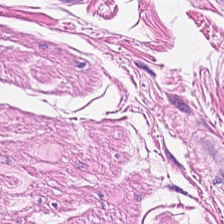H&E stain. 224×224 px tile. Brightfield — Histology → smooth muscle.
